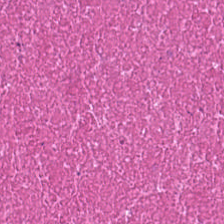Hematoxylin and eosin. Tissue type = cellular debris.
